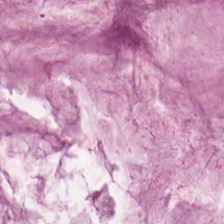224×224 px patch; formalin-fixed paraffin-embedded section; hematoxylin and eosin.
Classification — extracellular mucin.
